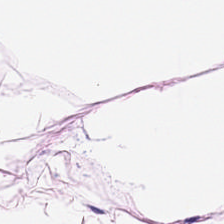H&E stain. Brightfield microscopy — Adipose tissue.
